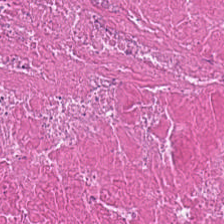Stain: H&E stain.
Predominant tissue: cellular debris.
